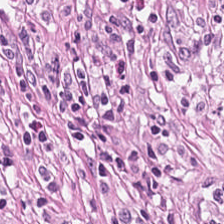Stain: H&E stain.
Tissue type: tumor stroma.
